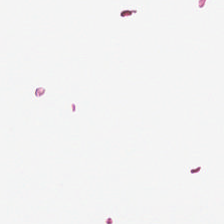224×224 px patch · H&E stain.
Q: What does this patch show?
A: This is background (no tissue).
